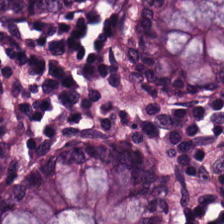H&E. Showing normal colonic mucosa.
